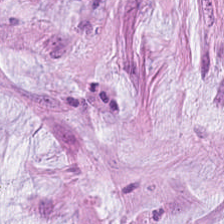The predominant tissue is mucus.
